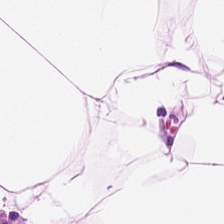Q: What is shown here?
A: It is adipose.
